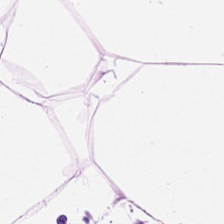Stain: H&E.
Resolution: 0.5 µm per pixel.
Classification: adipose.
